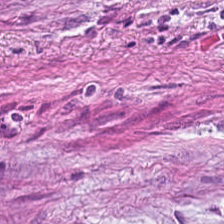Classification = tumor-associated stroma.
